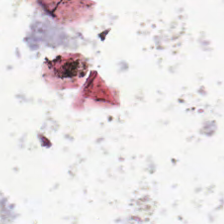Stain: H&E stain.
Tile size: 224×224 px tile.
Content: empty background.
